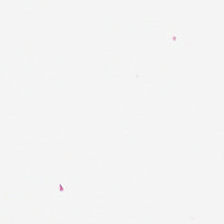The field content is no tissue.
